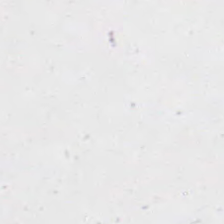224×224 pixel tile. Hematoxylin and eosin — Empty field — no tissue.
